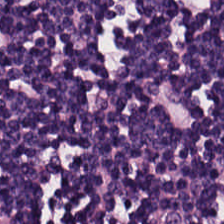The tissue here is lymphocyte aggregate.
